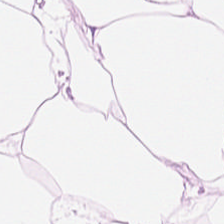0.5 µm per pixel · hematoxylin-and-eosin stained section — Predominant tissue — adipose.
